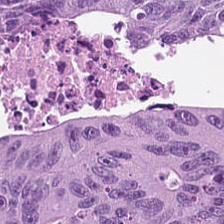The tissue here is colorectal adenocarcinoma.
